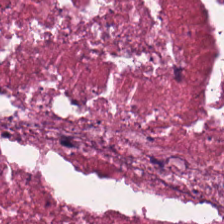H&E stain. Q: What tissue is shown?
A: The field shows cellular debris.
